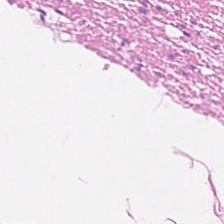H&E-stained section; the field shows smooth-muscle tissue.
